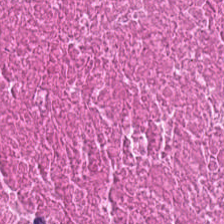H&E · WSI patch · FFPE.
This patch shows necrotic debris.
